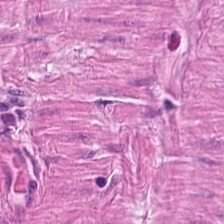Hematoxylin and eosin; 0.5 microns per pixel — Smooth muscle.
